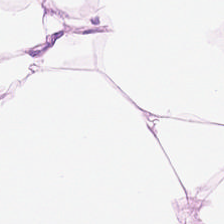224×224 px patch. H&E. Impression — adipose.
